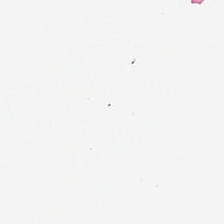{"content": "no tissue"}
